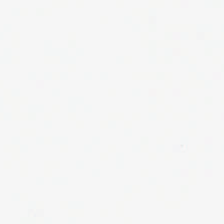Hematoxylin and eosin — {"content": "no tissue"}
